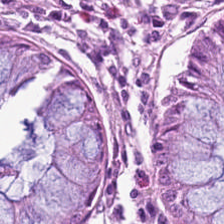FFPE tissue section. H&E-stained tissue section. 224×224 px tile.
Histology → normal colon mucosa.
